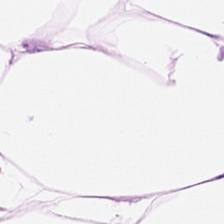Brightfield; hematoxylin and eosin — Predominantly fat tissue.
